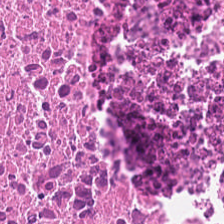FFPE tissue section · H&E stain · 224×224 px patch. Histology — necrotic debris.
